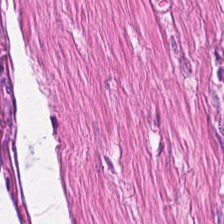H&E stain.
Muscularis.
